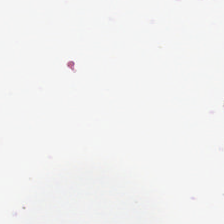Q: What is shown in this field?
A: Background.
